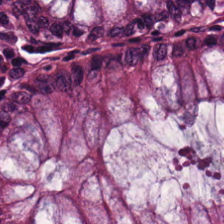Stain: H&E stain.
Acquisition: brightfield microscopy.
Tile size: 224×224 px patch.
Tissue class: normal colonic mucosa.
